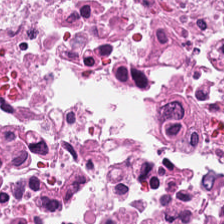Hematoxylin and eosin. Debris.
